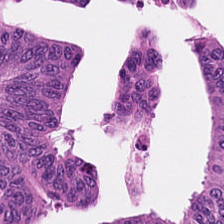Tissue type: adenocarcinoma.
